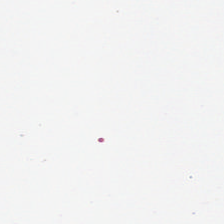Stain: hematoxylin-and-eosin stained section.
Tile size: 224×224 px patch.
Classification: no tissue.
